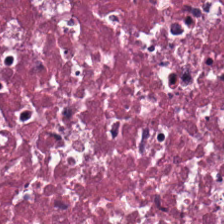Tissue class: necrotic debris.
